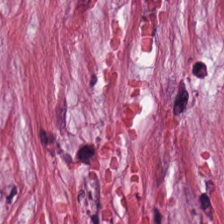FFPE tissue section; 224×224 px tile; hematoxylin and eosin.
Impression — tumor-associated stroma.
